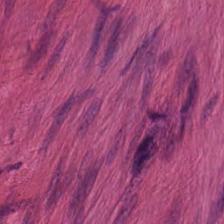Tissue: smooth muscle.
